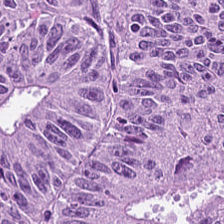{"tissue_type": "colorectal adenocarcinoma epithelium"}
